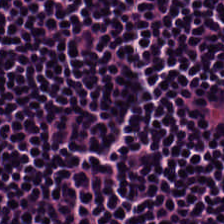Finding → lymphocytic infiltrate.
